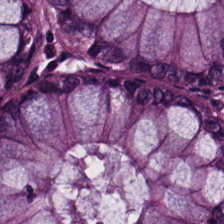The tissue is normal colon mucosa.
